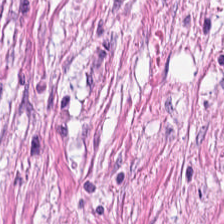224×224 pixel tile; H&E-stained tissue section. Tissue type = tumor-associated stroma.
